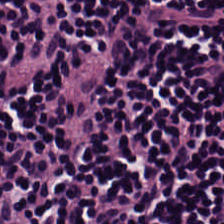224×224 px tile · H&E.
The predominant tissue is lymphoid infiltrate.
